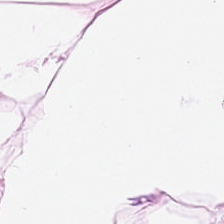H&E-stained tissue section — Classification: fat tissue.
